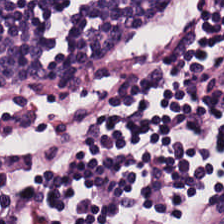Hematoxylin and eosin.
Showing lymphocyte aggregate.
